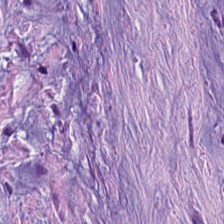FFPE. H&E-stained tissue section. This field is desmoplastic stroma.
